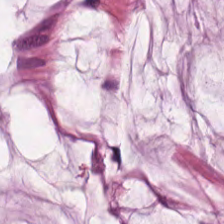Whole-slide-image patch. Hematoxylin-and-eosin stained section. Tissue type — mucus.
